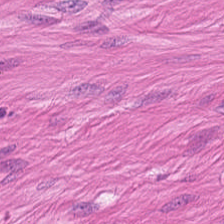Showing smooth muscle.
